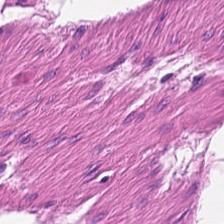Hematoxylin-and-eosin stained section — Finding — muscularis.
